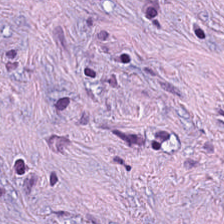224×224 px patch · 20× equivalent magnification · H&E-stained tissue section.
Predominantly tumor stroma.
